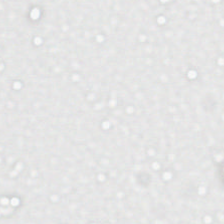Hematoxylin-and-eosin stained section — Background (no tissue).
